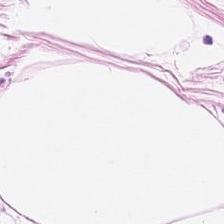0.5 microns per pixel. H&E stain. 224×224 pixel tile — Q: Identify the tissue.
A: Adipose.
